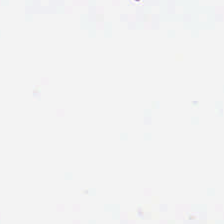Hematoxylin-and-eosin stained section. This patch shows background.
